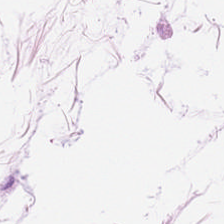H&E-stained section; the field shows adipose tissue.
